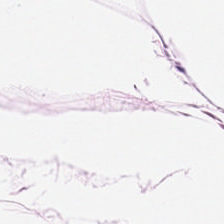FFPE; hematoxylin-and-eosin stained section.
The tissue is adipose.
